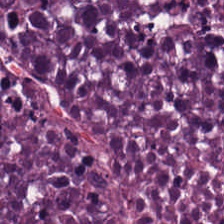H&E stain. Classification = cellular debris.
